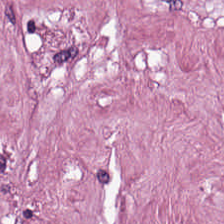Stain: H&E stain.
Predominant tissue: desmoplastic stroma.
